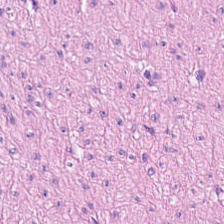H&E.
The predominant tissue is muscularis.
